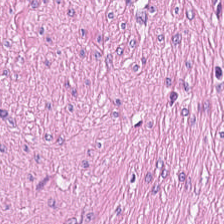H&E · 20× equivalent magnification · formalin-fixed paraffin-embedded section. Tissue class — smooth muscle.
